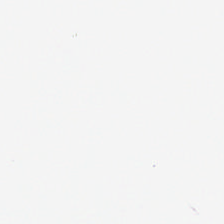Hematoxylin and eosin. Background — no tissue in this field.
